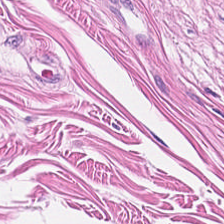Hematoxylin-and-eosin stained section. FFPE — Tissue — smooth-muscle tissue.
